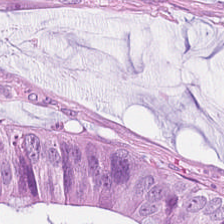Hematoxylin and eosin. Predominantly colorectal adenocarcinoma epithelium.
